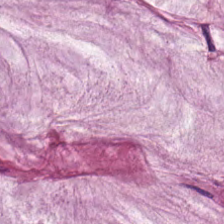Formalin-fixed paraffin-embedded section. H&E. 224×224 px patch. This field is extracellular mucin.
